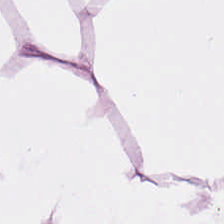H&E-stained tissue section · WSI patch · 224×224 px tile.
The tissue is adipose tissue.
